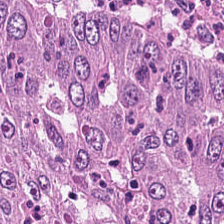H&E stain — The tissue here is malignant epithelium.
